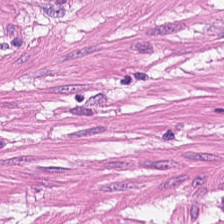Stain: H&E stain.
Tissue class: smooth-muscle tissue.
